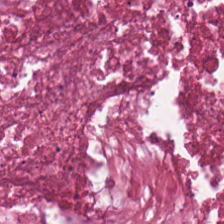Hematoxylin and eosin. Brightfield microscopy. 20× equivalent magnification. The tissue class is necrotic debris.
